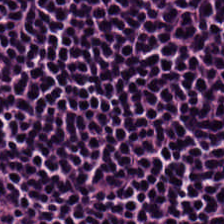Impression — lymphocytic infiltrate.
